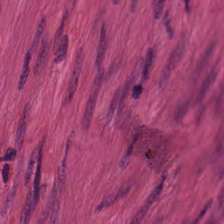Hematoxylin and eosin — Q: What type of tissue is this?
A: The field shows smooth-muscle tissue.
